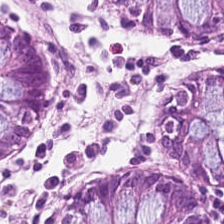Stain: H&E-stained tissue section.
Tissue type: benign colonic mucosa.
